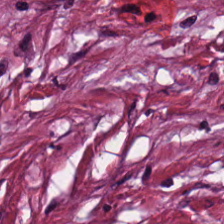224×224 px patch · 0.5 µm/px · H&E-stained tissue section. Tumor stroma.
